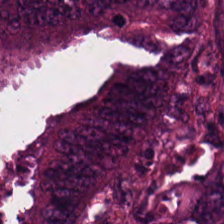Stain: hematoxylin-and-eosin stained section.
Tile size: 224×224 px patch.
Acquisition: brightfield microscopy.
Predominant tissue: adenocarcinoma.
